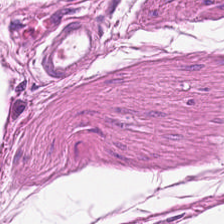Q: Classify this patch.
A: This is smooth-muscle tissue.
